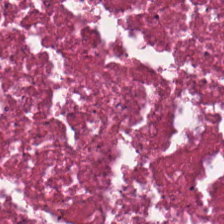Q: What is the predominant tissue type?
A: It is necrotic debris.
